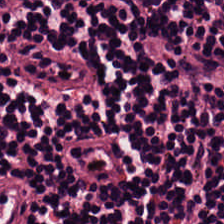H&E. Brightfield microscopy — Predominantly lymphocyte aggregate.
